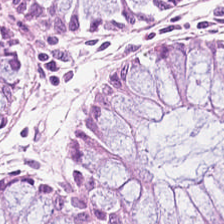Whole-slide-image patch. H&E. FFPE.
Normal colonic mucosa.
